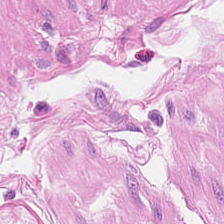Stain: hematoxylin and eosin.
Tissue type: smooth-muscle tissue.
